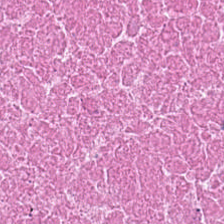224×224 px tile · H&E stain.
This patch shows debris.
